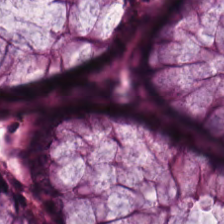Stain: hematoxylin and eosin.
Resolution: 0.5 µm/px.
Preparation: formalin-fixed paraffin-embedded section.
Tissue: benign colonic mucosa.
